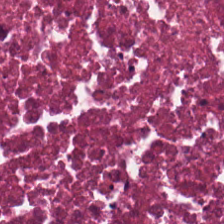224×224 pixel tile. Hematoxylin-and-eosin stained section — The predominant tissue is debris.
